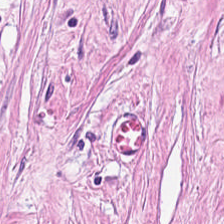0.5 µm/px; hematoxylin-and-eosin stained section; formalin-fixed paraffin-embedded section. This patch shows tumor stroma.
